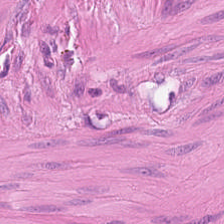H&E · 224×224 px tile.
Q: What does this patch show?
A: The field shows smooth-muscle tissue.
